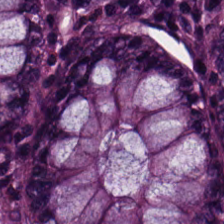H&E stain.
Q: What is shown in this field?
A: The field shows normal colonic mucosa.
